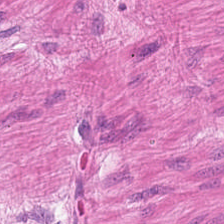Hematoxylin and eosin.
Q: What does this patch show?
A: This is smooth muscle.
